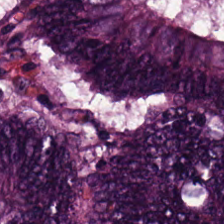H&E stain — Colorectal adenocarcinoma.
